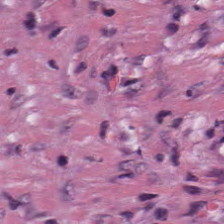Predominant tissue = tumor stroma.
